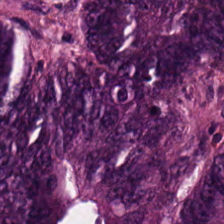Hematoxylin-and-eosin stained section; WSI patch; FFPE.
Adenocarcinoma.
